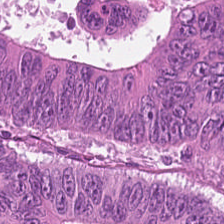224×224 pixel tile. H&E. 20× equivalent magnification.
Q: What is shown here?
A: Adenocarcinoma.
